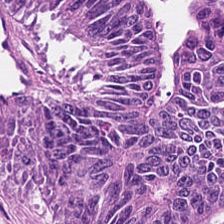Impression — malignant epithelium.
